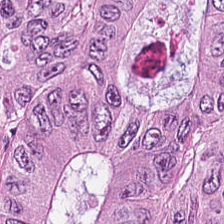Q: What is shown in this field?
A: This is malignant epithelium.
